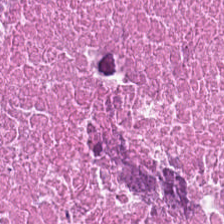H&E-stained tissue section; brightfield; 0.5 microns per pixel.
Tissue class: cellular debris.
